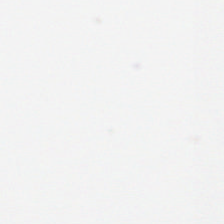FFPE · hematoxylin and eosin · 224×224 px tile. Background (no tissue).
